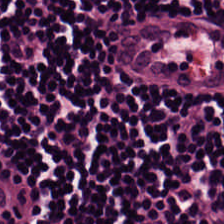Stain: H&E stain.
Resolution: 0.5 µm per pixel.
Classification: lymphocytes.
